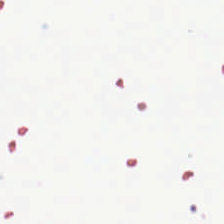H&E-stained tissue section — Content = background.
